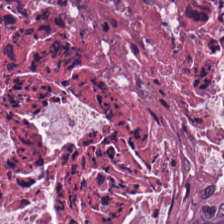Q: What tissue type is shown here?
A: The field shows debris.
